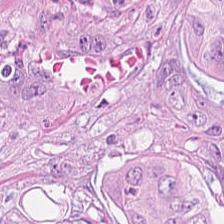The predominant tissue is malignant epithelium.
